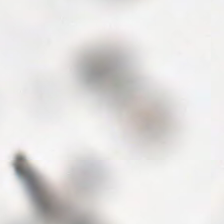FFPE · H&E.
This field is background (no tissue).
